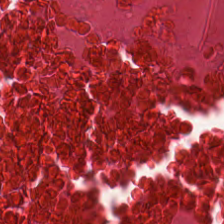Finding — debris.
